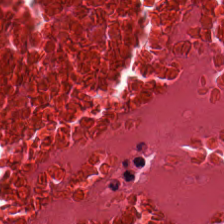H&E.
Showing cellular debris.
